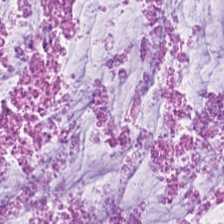H&E · formalin-fixed paraffin-embedded section · 20× equivalent magnification. Tissue: extracellular mucin.
